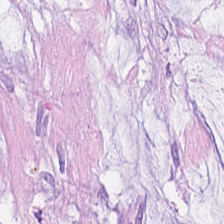The tissue here is mucin.
